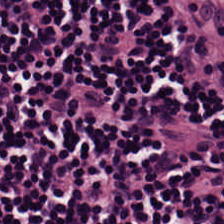H&E-stained tissue section. Brightfield microscopy. Q: What is the predominant tissue type?
A: It is lymphocytic infiltrate.
